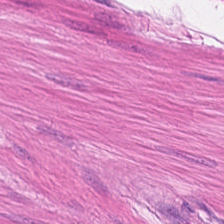Hematoxylin and eosin.
This field is smooth muscle.
